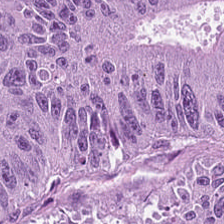Hematoxylin and eosin; 224×224 px tile — Tissue class = adenocarcinoma.
